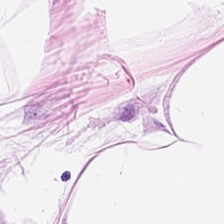This patch shows adipocytes.
